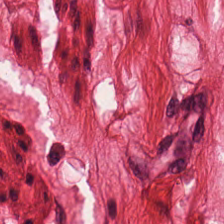Stain: H&E stain.
Predominant tissue: muscularis.
